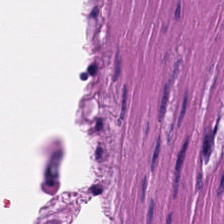H&E-stained tissue section · 20× equivalent magnification. Muscularis.
